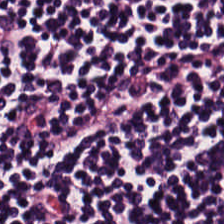H&E. 224×224 pixel tile. Formalin-fixed paraffin-embedded section — Q: Classify this patch.
A: It is lymphoid infiltrate.
